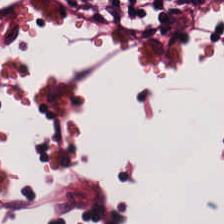Stain: H&E stain.
Classification: lymphoid infiltrate.
